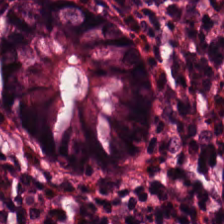Hematoxylin-and-eosin stained section. Non-neoplastic colon mucosa.
